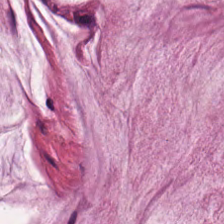H&E. Histology — mucin.
